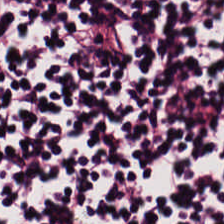Hematoxylin and eosin · brightfield.
Tissue = lymphocyte aggregate.
